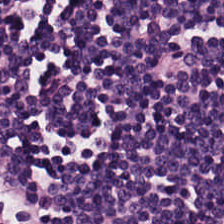H&E. FFPE tissue section. 0.5 µm/px. Histology → lymphocyte aggregate.
